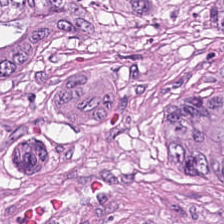H&E stain. The tissue here is colorectal adenocarcinoma.
